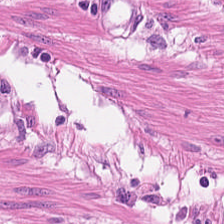Tissue type: smooth-muscle tissue.
